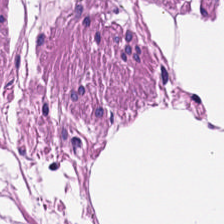Brightfield microscopy. H&E stain. 20× equivalent magnification.
Q: What tissue is shown?
A: The field shows muscularis.
